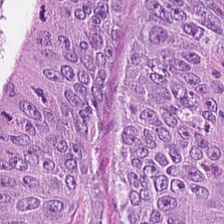Hematoxylin and eosin.
Finding → colorectal adenocarcinoma epithelium.
